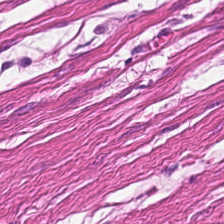Hematoxylin and eosin — Tissue = smooth muscle.
